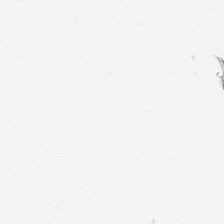Hematoxylin and eosin.
Empty field — empty background.
